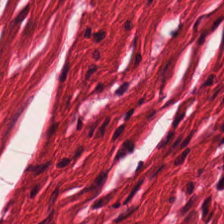224×224 px tile; H&E stain; FFPE — Finding — smooth muscle.
